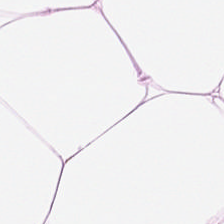H&E — adipose tissue.
